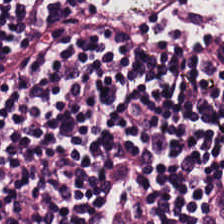H&E. The predominant tissue is lymphoid infiltrate.
